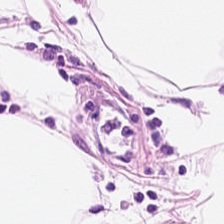This field is adipose.
